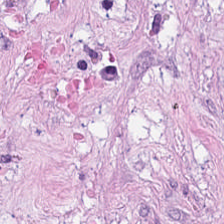Stain: H&E stain.
Classification: desmoplastic stroma.
